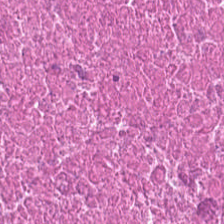H&E-stained tissue section; whole-slide-image patch — Classification — cellular debris.
